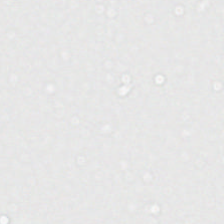The classification is no tissue.
